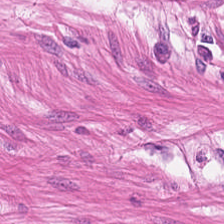H&E. The classification is muscularis.
